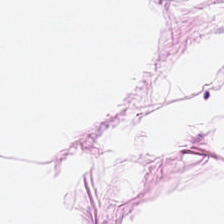Hematoxylin and eosin. Q: What is shown here?
A: It is adipose tissue.
